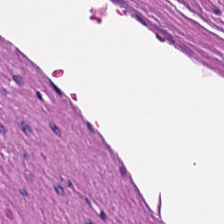Hematoxylin-and-eosin stained section. Q: What does this patch show?
A: Muscularis.
